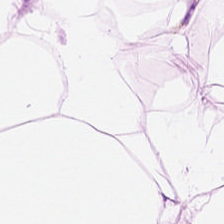H&E stain. This patch shows adipose tissue.
